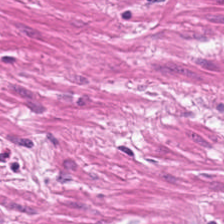Stain: H&E.
Tissue type: smooth muscle.
